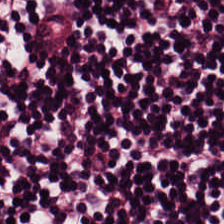Hematoxylin-and-eosin stained section; 0.5 microns per pixel — The predominant tissue is lymphocytes.
